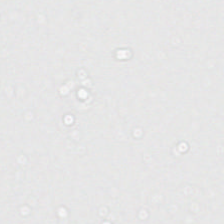Stain: H&E-stained tissue section.
Classification: no tissue.
